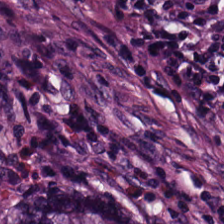Stain: hematoxylin and eosin.
Tissue: normal colonic mucosa.
